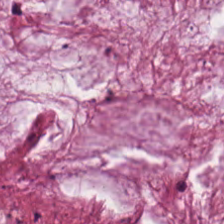H&E-stained tissue section.
{"tissue_type": "mucin"}
